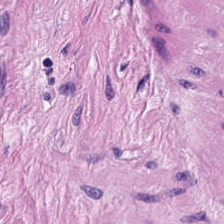The tissue here is smooth muscle.
